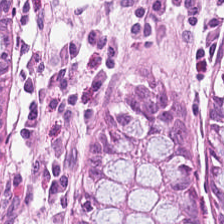Formalin-fixed paraffin-embedded section. Brightfield microscopy. Hematoxylin-and-eosin stained section — This field is normal colonic mucosa.
